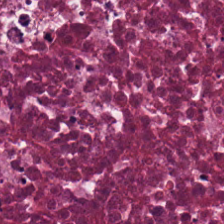H&E; formalin-fixed paraffin-embedded section — This patch shows necrotic debris.
